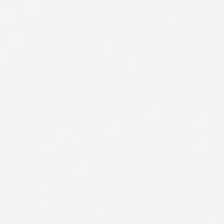Stain: H&E-stained tissue section.
Tile size: 224×224 px tile.
Preparation: formalin-fixed paraffin-embedded section.
Field content: no tissue.
